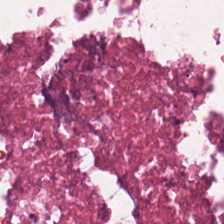{"tissue_type": "debris"}
